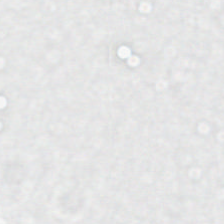H&E · brightfield — {"content": "background (no tissue)"}
